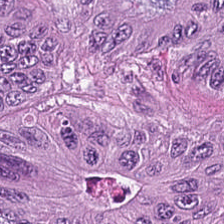Hematoxylin and eosin. Impression — colorectal adenocarcinoma epithelium.
